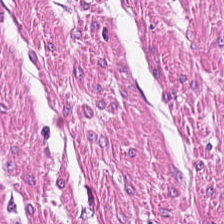Hematoxylin and eosin.
This patch shows smooth-muscle tissue.
